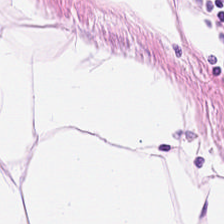Q: What tissue type is shown here?
A: The field shows adipose.
